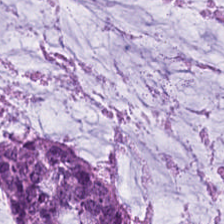Hematoxylin and eosin.
Predominant tissue = mucin.
